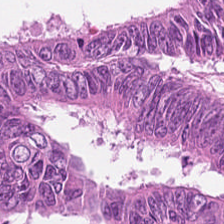H&E. The tissue here is colorectal adenocarcinoma.
